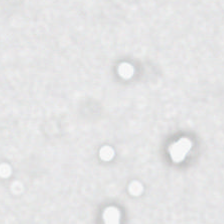Hematoxylin-and-eosin stained section · brightfield microscopy · 224×224 px tile.
Background — no tissue in this field.
